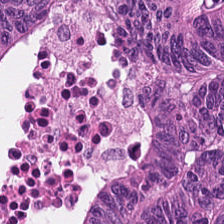Hematoxylin-and-eosin stained section.
The tissue is adenocarcinoma.
